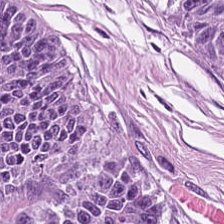H&E. The predominant tissue is adenocarcinoma.
